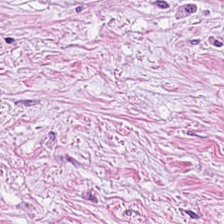H&E stain. This patch shows desmoplastic stroma.
